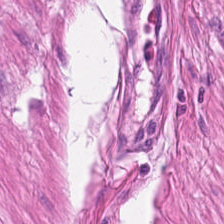H&E-stained tissue section.
Impression → muscularis.
